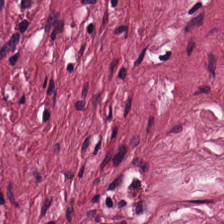FFPE. H&E stain — Tissue = desmoplastic stroma.
